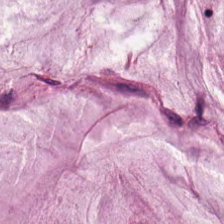Predominantly extracellular mucin.
